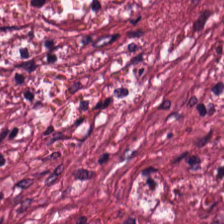This field is cancer-associated stroma.
